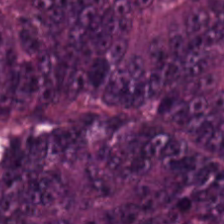H&E.
Predominant tissue = colorectal adenocarcinoma epithelium.
